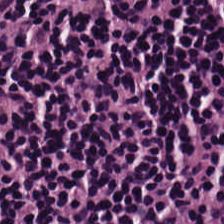Hematoxylin and eosin. 0.5 µm/px. Brightfield microscopy — The predominant tissue is lymphocytic infiltrate.
